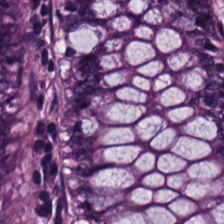Brightfield. H&E stain. FFPE tissue section. This field is normal colon mucosa.
